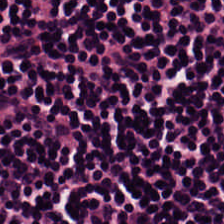0.5 µm per pixel · H&E stain.
Tissue: lymphocytic infiltrate.
